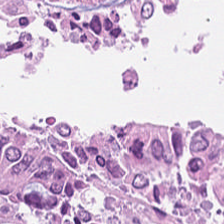H&E stain — Q: What does this patch show?
A: This is adenocarcinoma.
